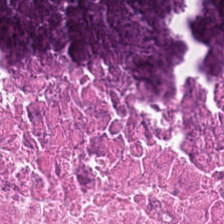Hematoxylin and eosin — The predominant tissue is debris.
